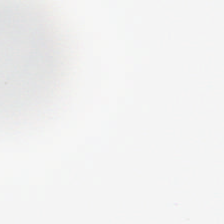Hematoxylin and eosin · 224×224 px patch · whole-slide-image patch.
{"content": "background (no tissue)"}
